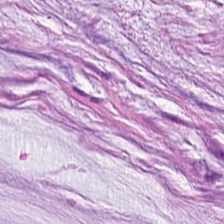Hematoxylin and eosin — This patch shows mucus.
